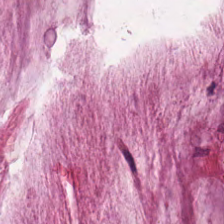H&E stain.
The tissue here is mucin.
